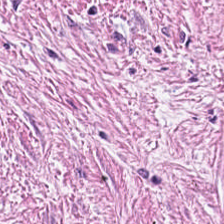Brightfield; H&E. The tissue here is tumor stroma.
